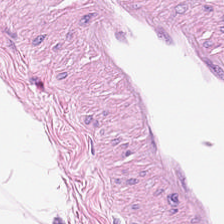Hematoxylin-and-eosin stained section; 20× equivalent magnification.
Showing fat tissue.
